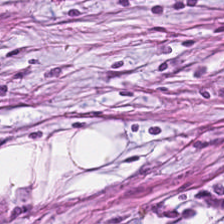H&E stain. Desmoplastic stroma.
